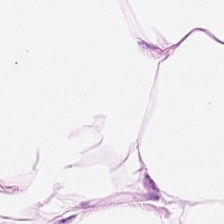H&E-stained tissue section.
Q: Classify this patch.
A: Fat tissue.
